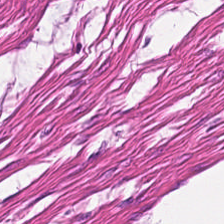H&E-stained tissue section.
This patch shows muscularis.
